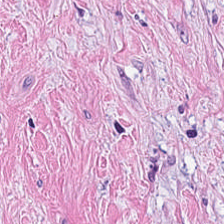H&E stain; 224×224 px tile.
Q: Identify the tissue.
A: The field shows tumor stroma.
